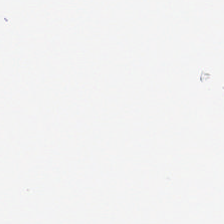Stain: H&E.
Classification: empty background.
